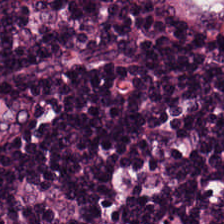0.5 µm/px. H&E — Showing lymphocytes.
